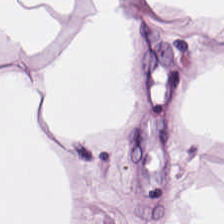H&E stain.
Showing adipose tissue.
